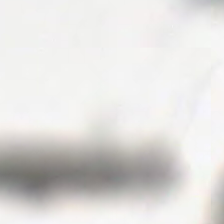H&E · brightfield. Content = empty background.
